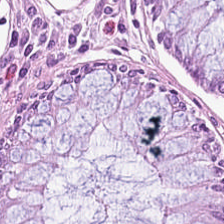This patch shows normal colonic mucosa.
